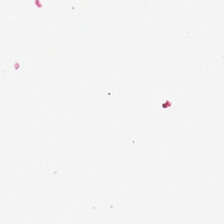No tissue present; background only.
